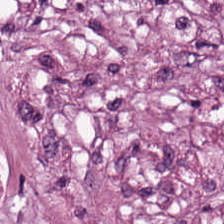H&E stain.
The predominant tissue is cancer-associated stroma.
